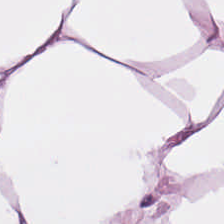0.5 µm/px; whole-slide-image patch; H&E.
Q: What tissue is shown?
A: It is adipose.
